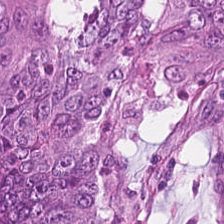H&E.
Predominantly malignant epithelium.
